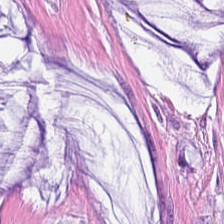H&E · WSI patch — The tissue here is mucin.
